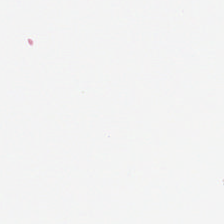0.5 µm per pixel; H&E stain. No tissue present; background only.
